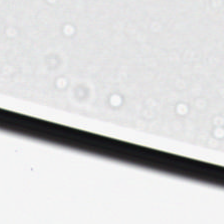Empty field — no tissue.
